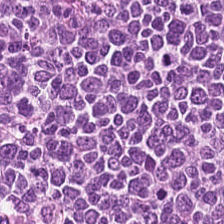Stain: hematoxylin and eosin.
Acquisition: brightfield microscopy.
Tissue class: lymphocytes.
